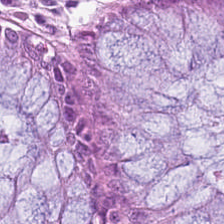FFPE tissue section · H&E · 224×224 px patch. The tissue class is benign colonic mucosa.
